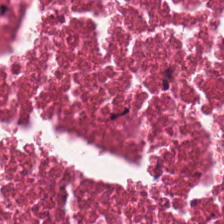Hematoxylin and eosin.
The tissue here is necrotic debris.
